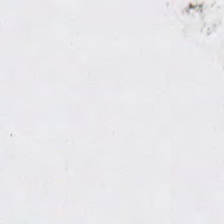H&E.
Content: background.
